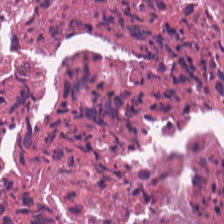Hematoxylin and eosin — Q: What is shown in this field?
A: The field shows necrotic debris.
